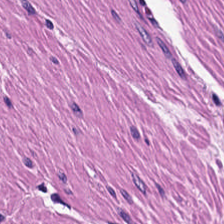Hematoxylin and eosin; formalin-fixed paraffin-embedded section. Predominantly muscularis.
